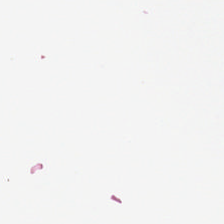H&E-stained tissue section; 0.5 µm/px — Impression → no tissue.
